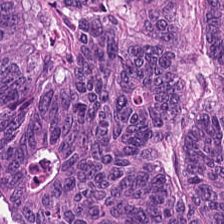Hematoxylin-and-eosin stained section.
Tumor epithelium.
